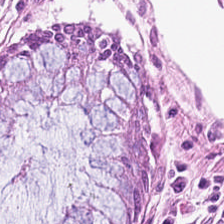Hematoxylin-and-eosin stained section.
Impression → normal colonic mucosa.
